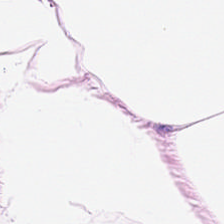Whole-slide-image patch. H&E-stained tissue section — Tissue type: adipose tissue.
